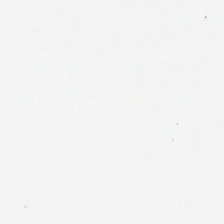Stain: hematoxylin and eosin.
Content: no tissue.
